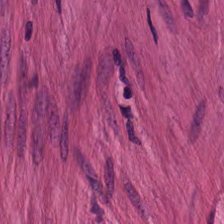Hematoxylin-and-eosin stained section. Predominant tissue = smooth muscle.
